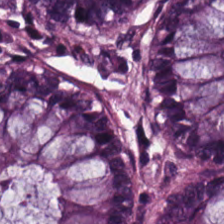H&E-stained tissue section — Normal colonic mucosa.
